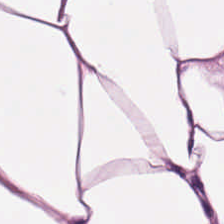The tissue class is fat tissue.
